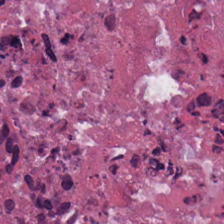FFPE. H&E stain. 0.5 microns per pixel. Tissue class: cellular debris.
